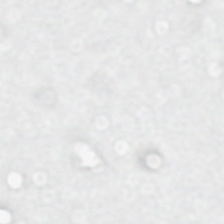224×224 px patch. H&E — This patch shows no tissue.
